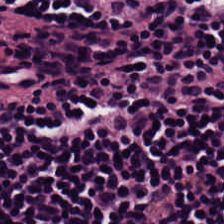Brightfield. H&E. This field is lymphocytic infiltrate.
